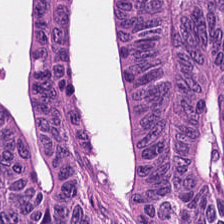H&E-stained section; the field shows colorectal adenocarcinoma.
